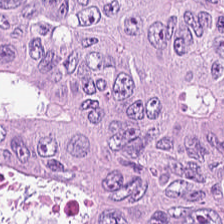Stain: hematoxylin-and-eosin stained section.
Acquisition: brightfield microscopy.
Tile size: 224×224 px patch.
Tissue type: colorectal adenocarcinoma.
